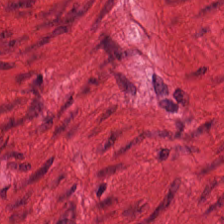H&E. This patch shows smooth muscle.
